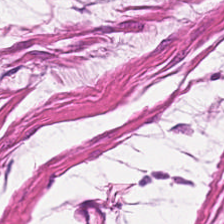H&E · brightfield · 0.5 microns per pixel — Histology → smooth muscle.
